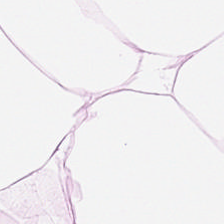Stain: hematoxylin-and-eosin stained section.
Preparation: FFPE.
Predominant tissue: adipocytes.
